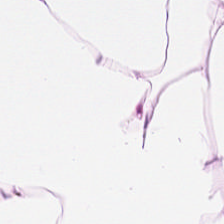Stain: H&E-stained tissue section.
Tissue: fat tissue.
